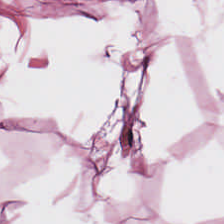H&E stain.
Showing fat tissue.
